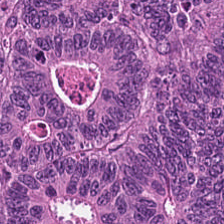20× equivalent magnification. H&E-stained tissue section. Brightfield — {"tissue_type": "colorectal adenocarcinoma epithelium"}
